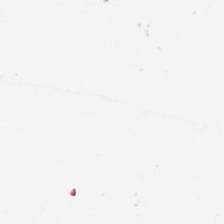0.5 µm per pixel; H&E stain.
Impression — no tissue.
